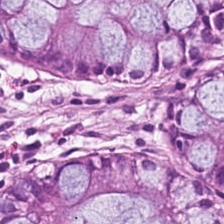Hematoxylin-and-eosin stained section. Q: What does this patch show?
A: This is normal colonic mucosa.
